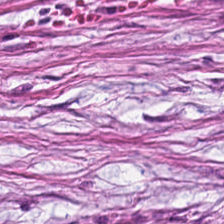H&E stain; 20× equivalent magnification. This patch shows tumor stroma.
